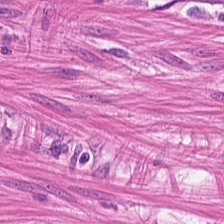H&E-stained tissue section. Finding — smooth muscle.
